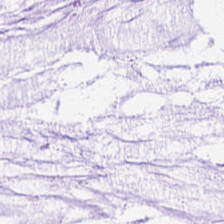H&E — Showing mucin.
